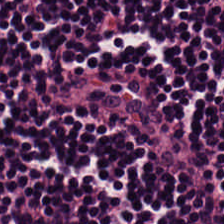{"tissue_type": "lymphocytes"}
